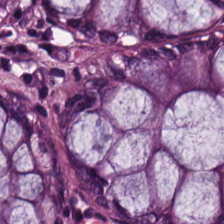224×224 px tile; H&E stain — Predominantly normal colonic mucosa.
